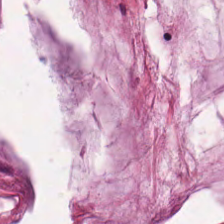H&E-stained tissue section; WSI patch; formalin-fixed paraffin-embedded section. Finding — mucus.
